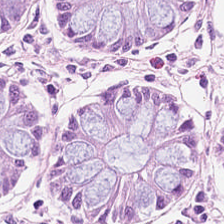H&E — Finding — normal colonic mucosa.
